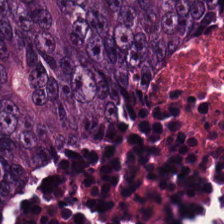Formalin-fixed paraffin-embedded section. H&E stain. WSI patch.
Q: What is shown here?
A: The field shows colorectal adenocarcinoma epithelium.
